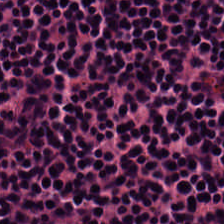Hematoxylin-and-eosin stained section. Lymphocytes.
